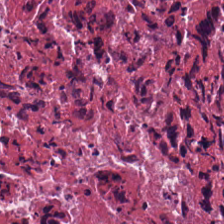FFPE tissue section. H&E stain.
Predominantly cellular debris.
